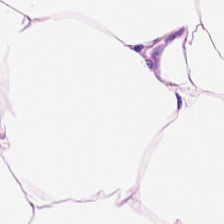H&E; formalin-fixed paraffin-embedded section; 20× equivalent magnification. Tissue class: adipocytes.
